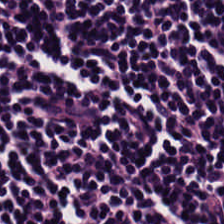224×224 px tile · hematoxylin and eosin. Lymphocytes.
